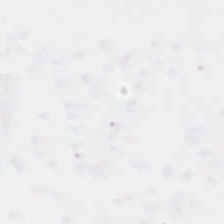Classification — no tissue.
